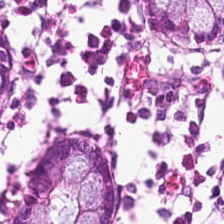0.5 microns per pixel · H&E stain.
Finding → non-neoplastic colon mucosa.
